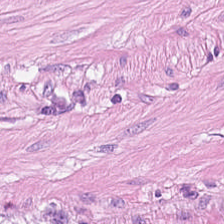H&E stain.
Showing muscularis.
